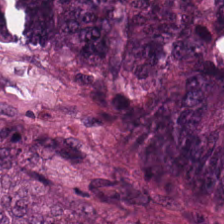Hematoxylin-and-eosin stained section — Finding — adenocarcinoma.
